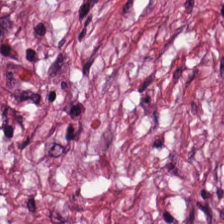H&E stain. Tissue type = cancer-associated stroma.
